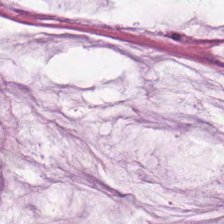H&E.
Q: What does this patch show?
A: Mucus.
